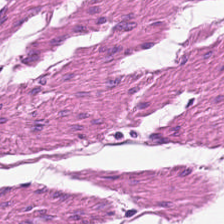FFPE tissue section. H&E. Predominant tissue — muscularis.
